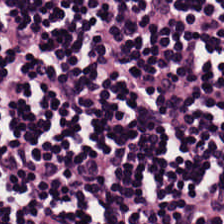H&E patch showing lymphocytes.
